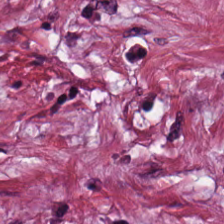Impression → desmoplastic stroma.
